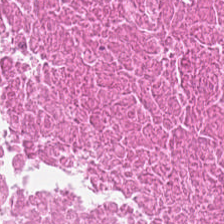WSI patch · 20× equivalent magnification · H&E-stained tissue section. Necrotic debris.
